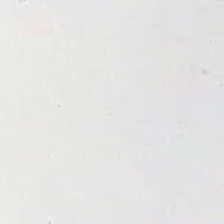224×224 pixel tile · hematoxylin-and-eosin stained section.
Histology — background (no tissue).
